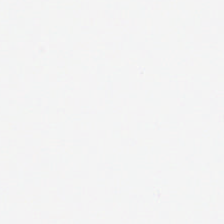H&E; 224×224 px patch.
Empty background.
